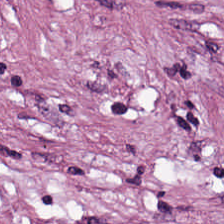H&E-stained tissue section; FFPE. Tissue type — tumor stroma.
